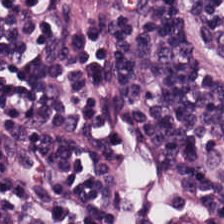Finding — lymphocytes.
